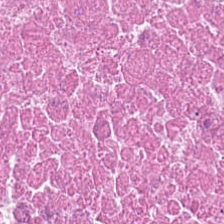0.5 µm per pixel; H&E-stained tissue section. Classification: debris.
